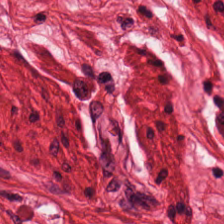H&E stain.
Q: What does this patch show?
A: It is smooth-muscle tissue.
